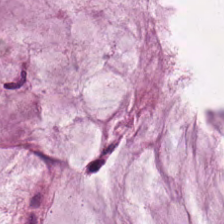Q: What is shown here?
A: The field shows extracellular mucin.
